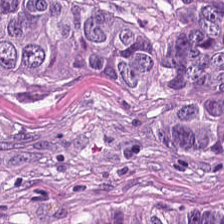Hematoxylin-and-eosin stained section.
Histology → tumor epithelium.
